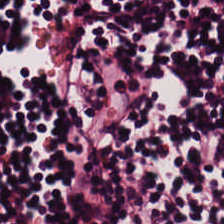Hematoxylin and eosin · 224×224 px tile · 0.5 microns per pixel.
The predominant tissue is lymphocyte aggregate.
